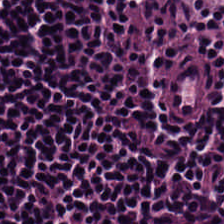Stain: hematoxylin-and-eosin stained section.
Tissue class: lymphocytic infiltrate.
